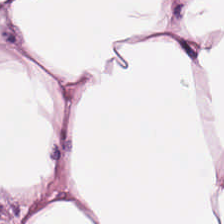H&E-stained tissue section — Showing adipose.
